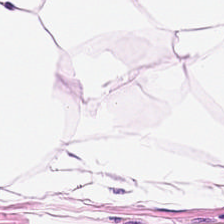H&E — Predominant tissue: adipocytes.
